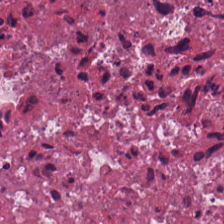224×224 px tile. Whole-slide-image patch. Hematoxylin-and-eosin stained section — {"tissue_type": "necrotic debris"}
